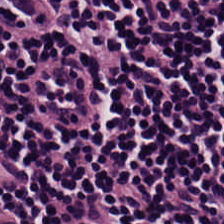The tissue here is lymphocyte aggregate.
